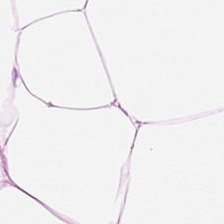Hematoxylin-and-eosin stained section — Finding — adipose tissue.
